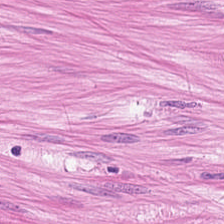Hematoxylin-and-eosin stained section; brightfield. Histology — muscularis.
